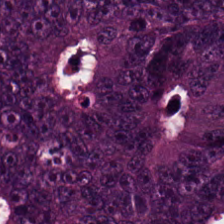224×224 px tile; hematoxylin-and-eosin stained section — Q: What type of tissue is this?
A: It is malignant epithelium.
